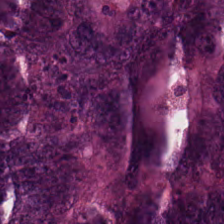Hematoxylin and eosin. Malignant epithelium.
